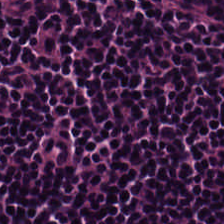Formalin-fixed paraffin-embedded section. 0.5 µm per pixel. Hematoxylin and eosin. Classification = lymphocytes.
